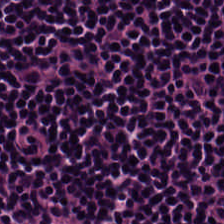Stain: hematoxylin-and-eosin stained section.
Tissue class: lymphocyte aggregate.
